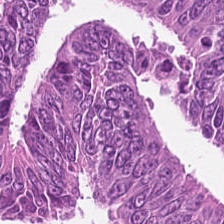Stain: H&E stain.
Classification: colorectal adenocarcinoma.
